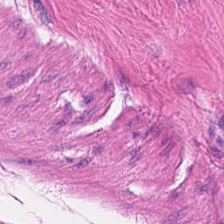Hematoxylin-and-eosin stained section. Predominant tissue — smooth-muscle tissue.
